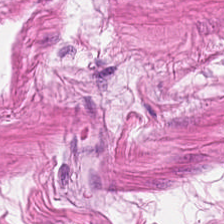H&E-stained tissue section. The tissue class is smooth muscle.
